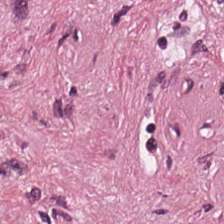224×224 px tile · H&E stain.
Showing tumor-associated stroma.
